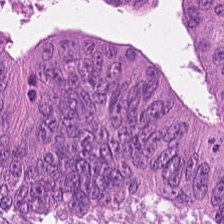FFPE. WSI patch. H&E stain.
Showing tumor epithelium.
